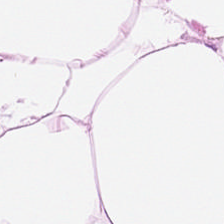H&E. 20× equivalent magnification.
Tissue type: adipose.
